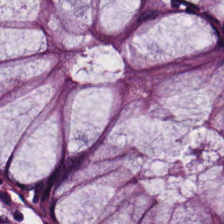WSI patch; H&E. {"tissue_type": "non-neoplastic colon mucosa"}
